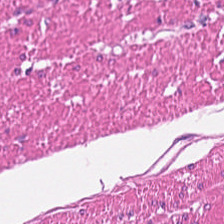Whole-slide-image patch. Hematoxylin-and-eosin stained section.
Smooth muscle.
